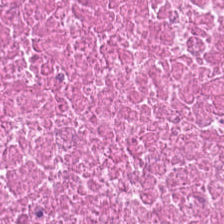Hematoxylin-and-eosin stained section.
The predominant tissue is cellular debris.
